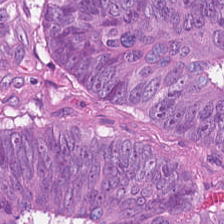H&E-stained tissue section — Q: Classify this patch.
A: Colorectal adenocarcinoma epithelium.
